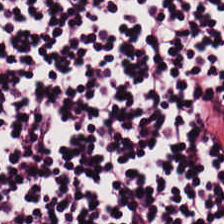Stain: H&E.
Resolution: 0.5 µm/px.
Tissue: lymphocytes.
